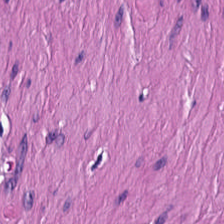224×224 px patch; hematoxylin-and-eosin stained section. This patch shows smooth muscle.
